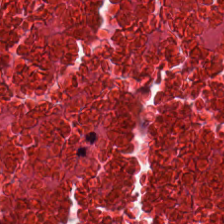Hematoxylin-and-eosin stained section — This field is cellular debris.
